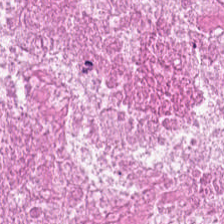H&E-stained section; the field shows necrotic debris.
